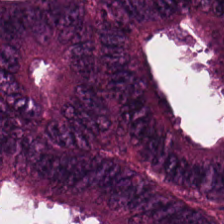The tissue type is colorectal adenocarcinoma.
